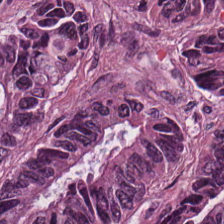0.5 µm per pixel. Whole-slide-image patch. Hematoxylin and eosin — Q: What is shown here?
A: The field shows tumor epithelium.
